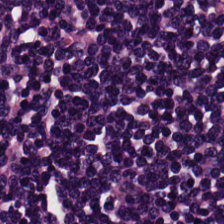H&E-stained tissue section. This field is lymphocytes.
